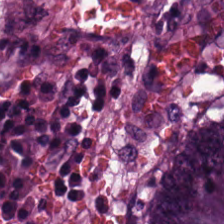H&E stain — The predominant tissue is adenocarcinoma.
